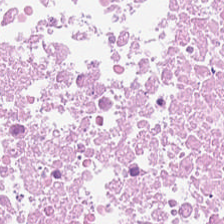224×224 pixel tile. Brightfield. H&E-stained tissue section.
Necrotic debris.
